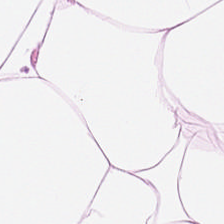H&E. Showing adipose.
